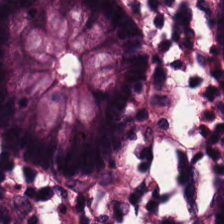FFPE; H&E stain. This field is normal colonic mucosa.
